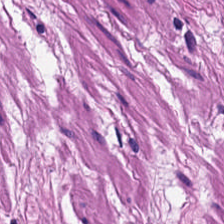224×224 pixel tile. Hematoxylin and eosin — The predominant tissue is muscularis.
